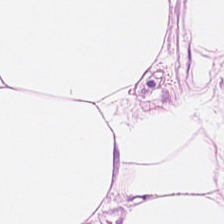Q: What does this patch show?
A: It is fat tissue.
